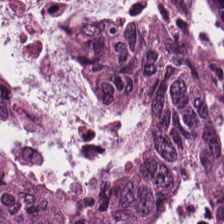FFPE. H&E — Tissue type: malignant epithelium.
